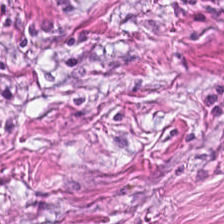H&E-stained tissue section; 224×224 px tile; whole-slide-image patch.
Predominantly cancer-associated stroma.
